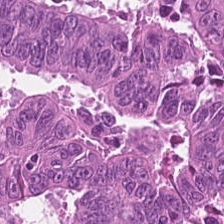H&E-stained tissue section; WSI patch; 0.5 microns per pixel — The tissue is colorectal adenocarcinoma epithelium.
